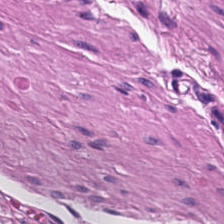Whole-slide-image patch · FFPE tissue section · H&E-stained tissue section. Tissue type: smooth muscle.
